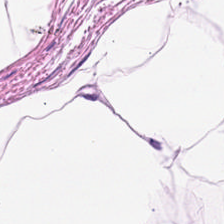The tissue class is adipocytes.
